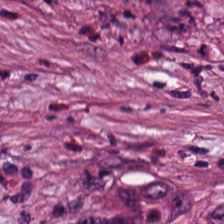H&E stain. 224×224 pixel tile. Desmoplastic stroma.
